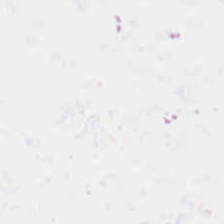H&E-stained tissue section.
Empty field — background.
